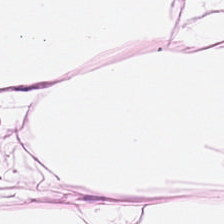The tissue class is adipose.
